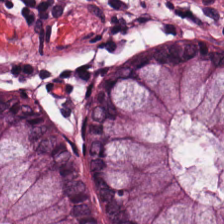H&E-stained tissue section · formalin-fixed paraffin-embedded section — Tissue — normal colonic mucosa.
